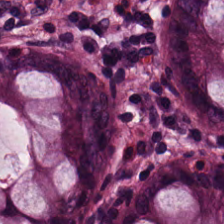Stain: H&E stain.
Preparation: FFPE tissue section.
Tissue: benign colonic mucosa.
